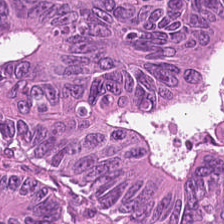H&E-stained tissue section; brightfield microscopy.
Tissue = malignant epithelium.
